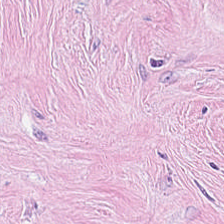224×224 px tile; H&E-stained tissue section.
Q: What is shown in this field?
A: It is tumor-associated stroma.
